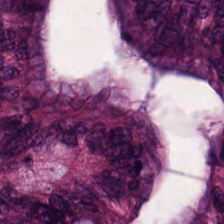H&E-stained tissue section — The tissue here is malignant epithelium.
